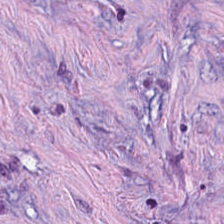H&E stain. Q: What tissue type is shown here?
A: Tumor stroma.
